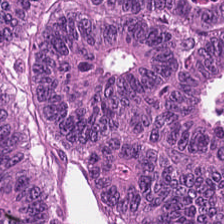H&E stain. This field is malignant epithelium.
